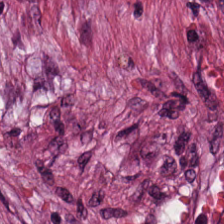Hematoxylin and eosin. The predominant tissue is tumor-associated stroma.
